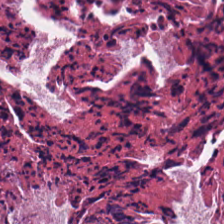H&E.
Q: What tissue is shown?
A: This is cellular debris.
